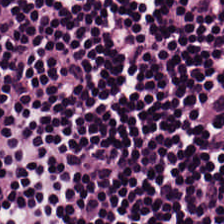Hematoxylin-and-eosin stained section · formalin-fixed paraffin-embedded section · brightfield microscopy — The tissue class is lymphoid infiltrate.
